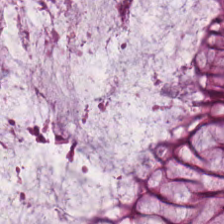Hematoxylin-and-eosin section: normal colonic mucosa.
